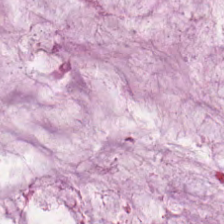Hematoxylin-and-eosin stained section · 20× equivalent magnification.
Tissue type = extracellular mucin.
